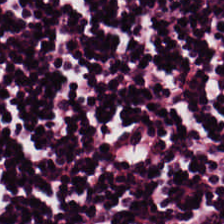H&E. 224×224 px patch — Histology → lymphocytic infiltrate.
